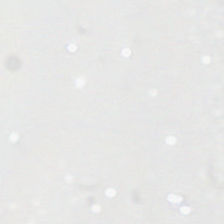{"content": "empty background"}
